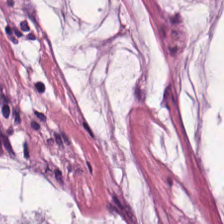H&E; FFPE tissue section. The tissue here is mucus.
